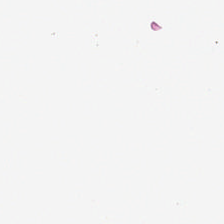The content is empty background.
